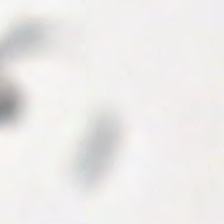Q: What is shown here?
A: This is empty background.
